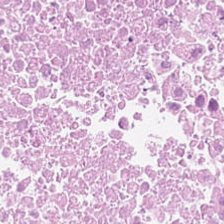Hematoxylin-and-eosin stained section — Q: Identify the tissue.
A: Necrotic debris.
